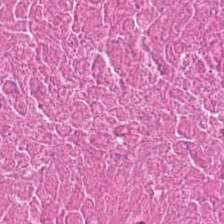Tissue type = debris.
